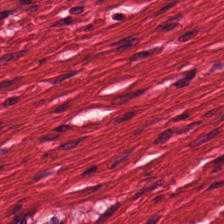Hematoxylin-and-eosin stained section.
The tissue here is muscularis.
